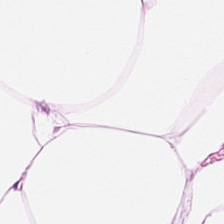H&E stain · FFPE. The predominant tissue is adipose.
